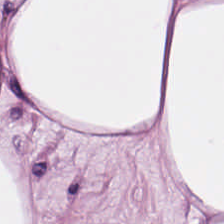H&E-stained tissue section — Finding → adipose tissue.
